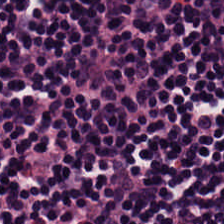Brightfield; H&E-stained tissue section.
Q: What is shown in this field?
A: It is lymphocyte aggregate.
